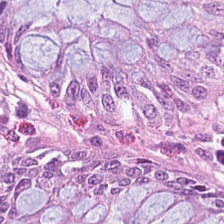The tissue here is benign colonic mucosa.
